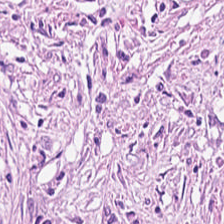Stain: hematoxylin and eosin.
Tissue class: cancer-associated stroma.
